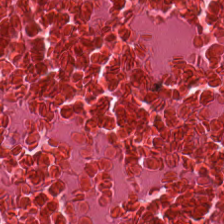Hematoxylin and eosin. This patch shows cellular debris.
